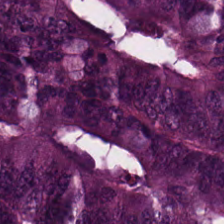0.5 µm/px; H&E. The tissue here is colorectal adenocarcinoma epithelium.
